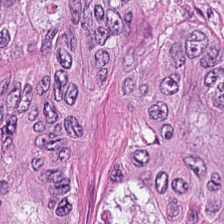H&E — tumor epithelium.
